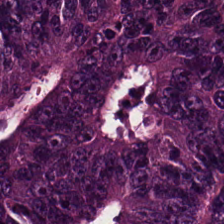H&E-stained tissue section · 0.5 µm/px. Predominant tissue: tumor epithelium.
